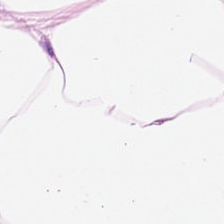224×224 px patch · H&E stain — This patch shows adipocytes.
